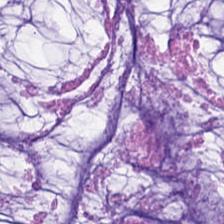Hematoxylin and eosin. Histology → extracellular mucin.
